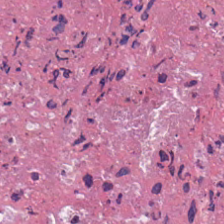20× equivalent magnification. H&E stain.
Showing cellular debris.
